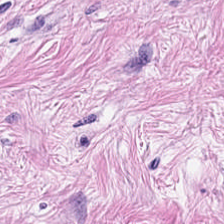Q: What is shown here?
A: This is tumor-associated stroma.
